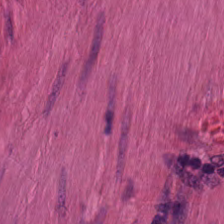Stain: H&E.
Classification: smooth muscle.
